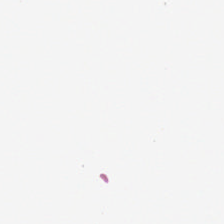Stain: H&E-stained tissue section.
Preparation: FFPE tissue section.
Content: background.
